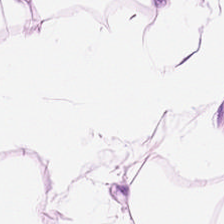FFPE tissue section; whole-slide-image patch; hematoxylin-and-eosin stained section — Adipose tissue.
